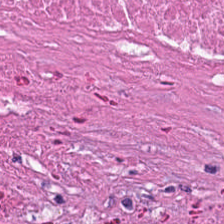Hematoxylin and eosin — Debris.
